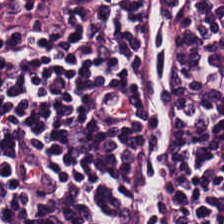Hematoxylin-and-eosin stained section.
Tissue type — lymphocyte aggregate.
